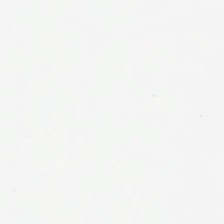0.5 µm per pixel. Hematoxylin and eosin. Whole-slide-image patch.
The classification is no tissue.
